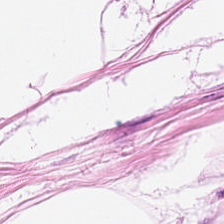H&E stain · brightfield microscopy · FFPE. Predominantly adipose tissue.
